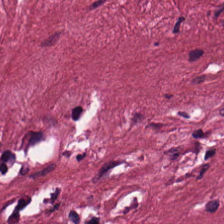H&E stain · whole-slide-image patch. {"tissue_type": "tumor stroma"}
